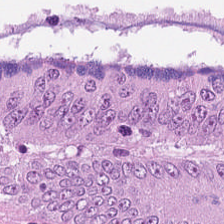Tissue = adenocarcinoma.
